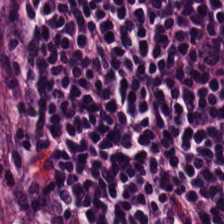0.5 µm per pixel. H&E — Lymphocyte aggregate.
